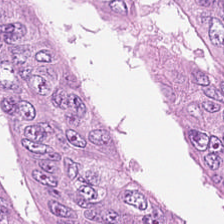Hematoxylin and eosin. WSI patch.
Malignant epithelium.
